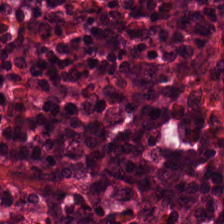Tissue class — non-neoplastic colon mucosa.
